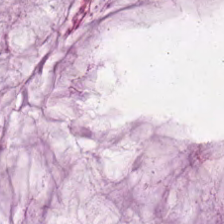Brightfield microscopy · H&E — This field is mucus.
